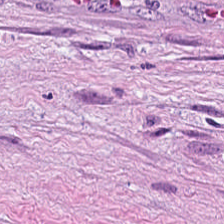H&E stain · 20× equivalent magnification · formalin-fixed paraffin-embedded section — Impression — tumor-associated stroma.
